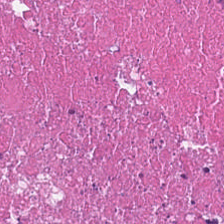H&E.
Tissue class: cellular debris.
